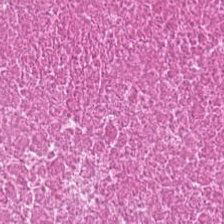H&E. Tissue class — cellular debris.
